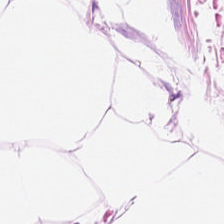Classification — adipose tissue.
